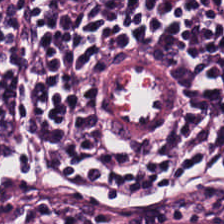Whole-slide-image patch · H&E stain · 0.5 µm per pixel. Histology — lymphocytic infiltrate.
